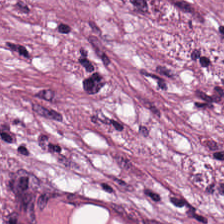Stain: hematoxylin-and-eosin stained section.
Tile size: 224×224 px patch.
Resolution: 0.5 µm per pixel.
Tissue class: desmoplastic stroma.
